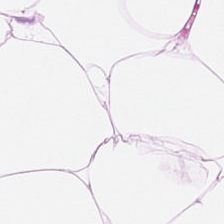Stain: H&E stain.
Preparation: FFPE.
Predominant tissue: adipose tissue.
